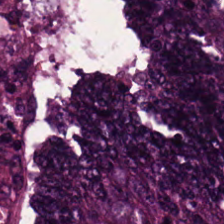Hematoxylin and eosin · brightfield microscopy.
Q: What type of tissue is this?
A: This is colorectal adenocarcinoma.
